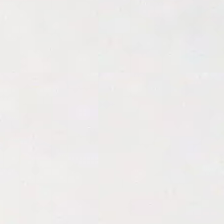Stain: H&E-stained tissue section.
Classification: empty background.
